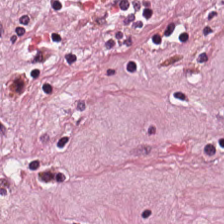FFPE tissue section · brightfield microscopy · H&E. The tissue here is cancer-associated stroma.
